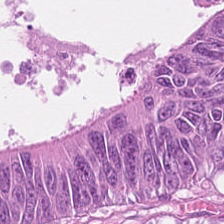H&E-stained tissue section — The predominant tissue is colorectal adenocarcinoma epithelium.
